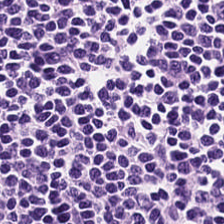H&E-stained tissue section. Tissue class = lymphoid infiltrate.
